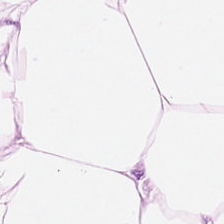20× equivalent magnification; H&E.
{"tissue_type": "adipose"}
